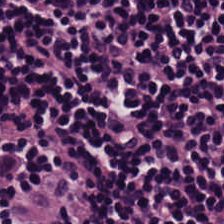H&E-stained section; the field shows lymphocytic infiltrate.
